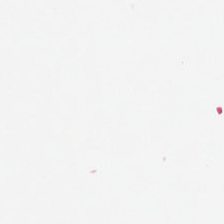Content: background.
